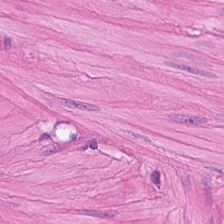Hematoxylin and eosin; brightfield. {"tissue_type": "muscularis"}
